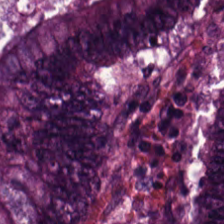Tissue type — colorectal adenocarcinoma epithelium.
